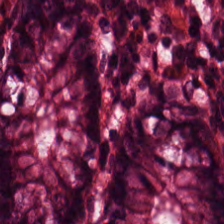Stain: hematoxylin-and-eosin stained section.
Tissue class: non-neoplastic colon mucosa.
